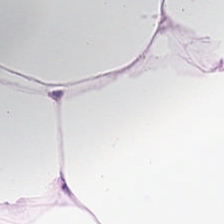Formalin-fixed paraffin-embedded section. H&E stain. {"tissue_type": "adipose tissue"}
